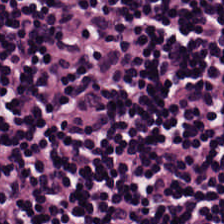H&E-stained tissue section.
Tissue class: lymphoid infiltrate.
